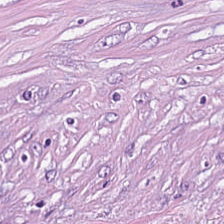H&E. Classification: tumor-associated stroma.
